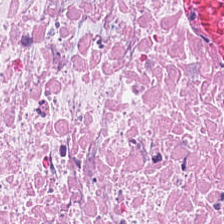H&E stain — Finding → necrotic debris.
